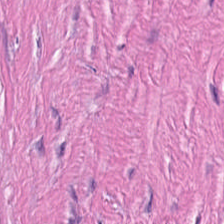WSI patch. H&E.
Q: What tissue type is shown here?
A: It is desmoplastic stroma.
